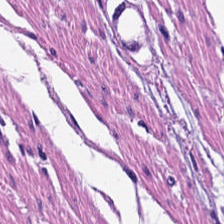H&E-stained tissue section — Tissue — muscularis.
